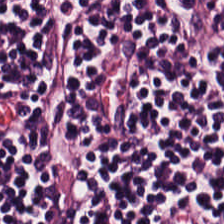Hematoxylin-and-eosin stained section. Q: What type of tissue is this?
A: It is lymphocytes.
